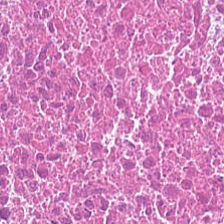Brightfield. Hematoxylin and eosin. The tissue type is cellular debris.
